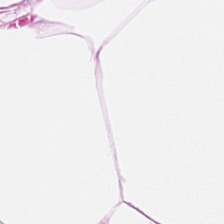Stain: H&E stain.
Predominant tissue: fat tissue.
